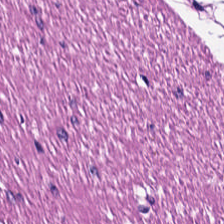Hematoxylin and eosin; formalin-fixed paraffin-embedded section — Q: Identify the tissue.
A: This is smooth-muscle tissue.
